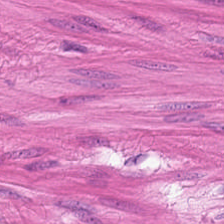H&E. Tissue class: muscularis.
